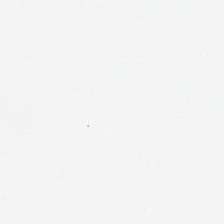H&E-stained tissue section. Whole-slide-image patch.
This field is background (no tissue).
